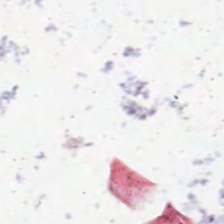0.5 µm/px; hematoxylin and eosin — This patch shows background (no tissue).
